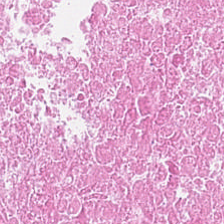Impression → debris.
